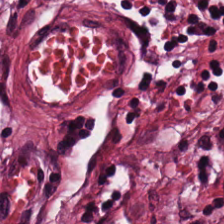Predominant tissue = tumor-associated stroma.
